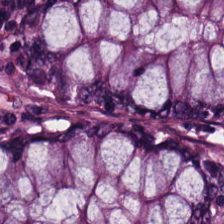Hematoxylin-and-eosin stained section · brightfield.
The tissue is non-neoplastic colon mucosa.
